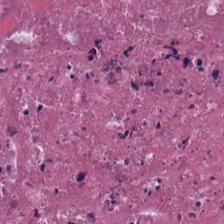H&E-stained tissue section. Q: Classify this patch.
A: This is debris.
